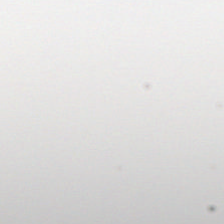H&E. Finding → background.
